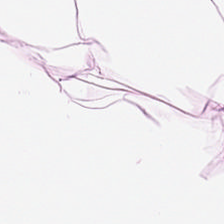Stain: H&E stain.
Classification: adipose.
